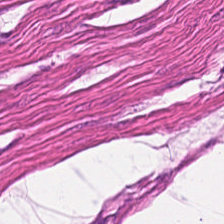Q: What does this patch show?
A: This is smooth-muscle tissue.
